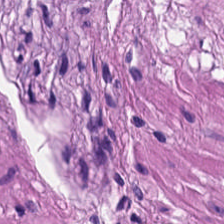WSI patch · hematoxylin-and-eosin stained section · FFPE — Tissue type = muscularis.
